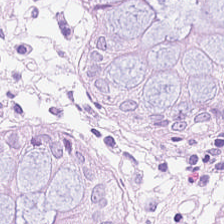H&E-stained tissue section. Finding → non-neoplastic colon mucosa.
